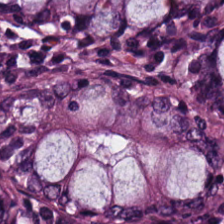FFPE · H&E stain.
The tissue here is normal colonic mucosa.
